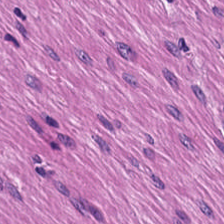H&E. 224×224 px tile.
Q: What is shown here?
A: The field shows smooth muscle.
